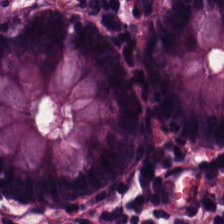WSI patch; H&E-stained tissue section; 224×224 px patch — Q: What tissue is shown?
A: It is normal colon mucosa.
